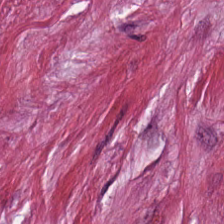Hematoxylin and eosin; 0.5 µm per pixel — Q: What is shown here?
A: The field shows desmoplastic stroma.
